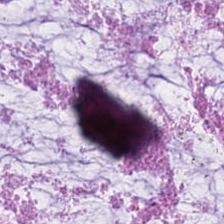H&E-stained tissue section — Tissue: mucin.
